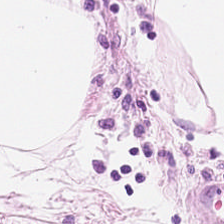Finding → adipose tissue.
